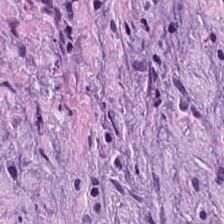The tissue here is cancer-associated stroma.
